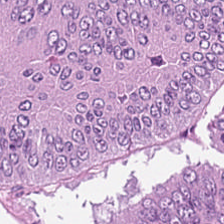H&E.
Predominantly colorectal adenocarcinoma.
